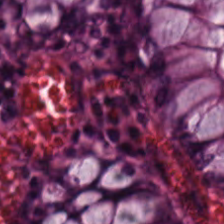Stain: hematoxylin-and-eosin stained section.
Classification: normal colon mucosa.
